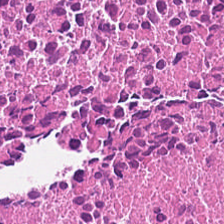Histology → necrotic debris.
